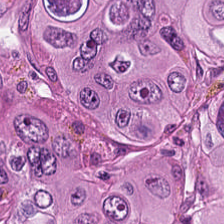Hematoxylin and eosin.
Q: What does this patch show?
A: It is adenocarcinoma.
